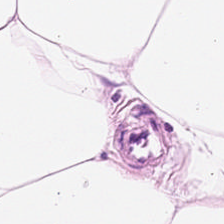H&E-stained section; the field shows fat tissue.
